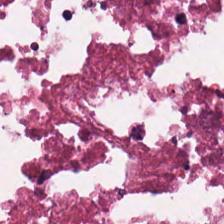Hematoxylin-and-eosin stained section; 0.5 µm/px — The tissue here is cellular debris.
